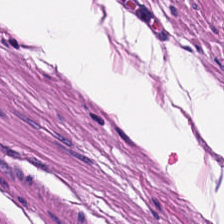224×224 px patch · H&E. Histology → smooth muscle.
